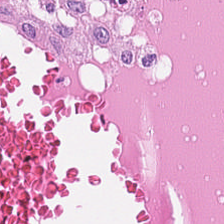H&E stain; WSI patch — Tissue — cellular debris.
